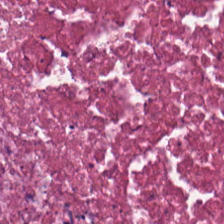H&E stain.
Histology → debris.
